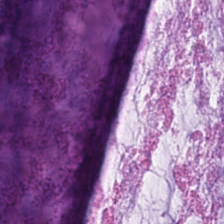H&E — Extracellular mucin.
